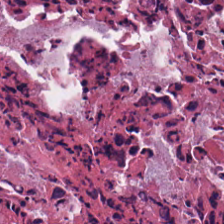H&E-stained tissue section. Classification = debris.
